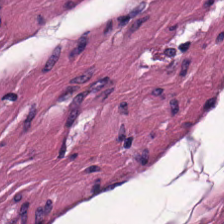H&E — Q: Classify this patch.
A: It is muscularis.
